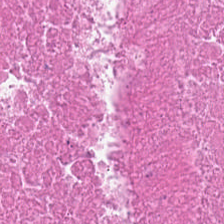H&E-stained section; the field shows cellular debris.
